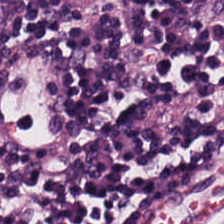H&E-stained tissue section; 20× equivalent magnification — Tissue type = lymphocyte aggregate.
